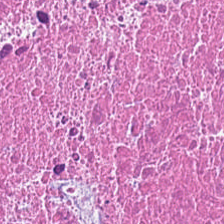H&E-stained tissue section · 224×224 px tile — Histology — debris.
